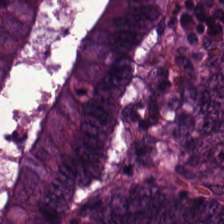The classification is tumor epithelium.
